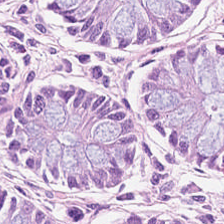Stain: hematoxylin-and-eosin stained section.
Classification: non-neoplastic colon mucosa.
